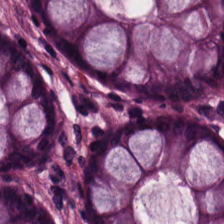H&E-stained tissue section. 224×224 pixel tile. WSI patch.
This field is normal colon mucosa.
